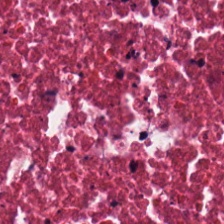H&E-stained tissue section — Predominantly cellular debris.
